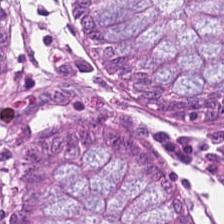Hematoxylin and eosin. {"tissue_type": "normal colon mucosa"}
